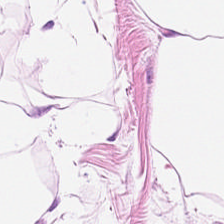{"tissue_type": "adipose tissue"}
